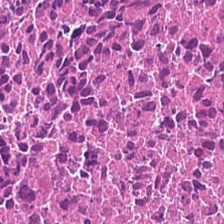0.5 µm/px · FFPE · H&E stain — Classification = debris.
